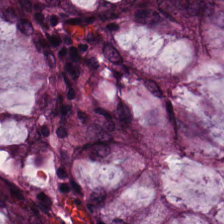H&E stain; 224×224 pixel tile — Q: Identify the tissue.
A: Non-neoplastic colon mucosa.
